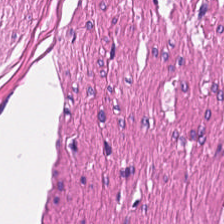Hematoxylin and eosin. Q: What tissue is shown?
A: It is smooth muscle.
